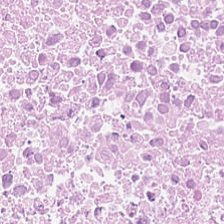Q: What does this patch show?
A: Cellular debris.
